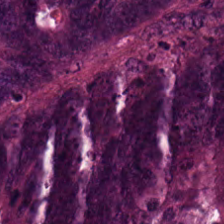Hematoxylin and eosin — Q: What tissue type is shown here?
A: Colorectal adenocarcinoma epithelium.
